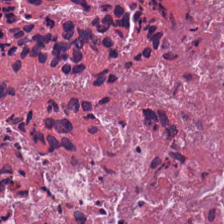224×224 px patch. H&E.
Predominantly cellular debris.
